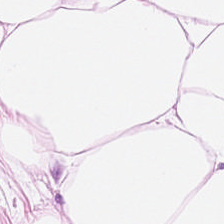Predominant tissue — fat tissue.
